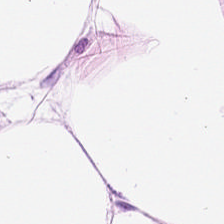H&E stain — Impression — adipocytes.
